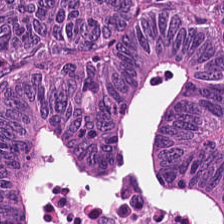H&E stain; FFPE. Finding → adenocarcinoma.
